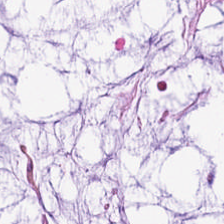Stain: hematoxylin-and-eosin stained section.
Preparation: FFPE tissue section.
Resolution: 0.5 microns per pixel.
Tissue class: extracellular mucin.
